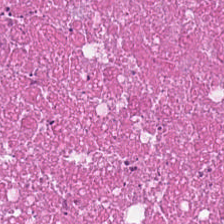H&E-stained tissue section. FFPE tissue section. Brightfield microscopy. Tissue — necrotic debris.
